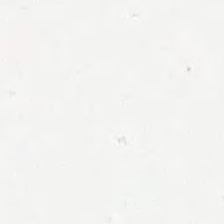Stain: hematoxylin and eosin.
Classification: background (no tissue).
